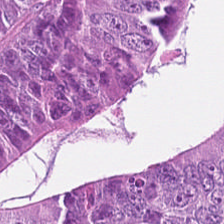H&E.
Q: What is shown here?
A: It is tumor epithelium.
